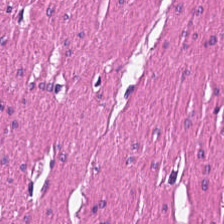Predominant tissue — muscularis.
